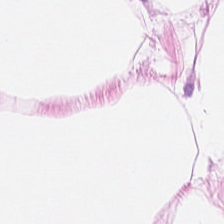Hematoxylin-and-eosin stained section. Q: Identify the tissue.
A: It is adipocytes.
